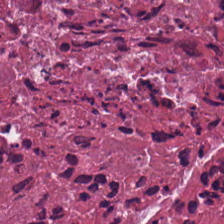Histology — necrotic debris.
